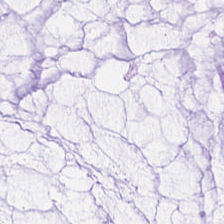H&E.
Mucin.
